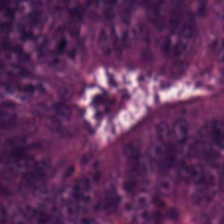H&E.
Tissue class — malignant epithelium.
